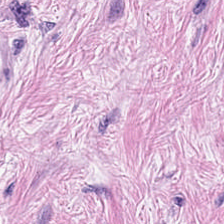Stain: H&E stain.
Preparation: formalin-fixed paraffin-embedded section.
Tissue class: tumor-associated stroma.
